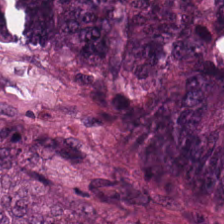H&E — Colorectal adenocarcinoma epithelium.
